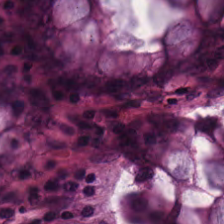Non-neoplastic colon mucosa.
